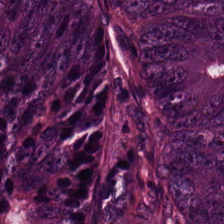H&E.
Impression → colorectal adenocarcinoma epithelium.
